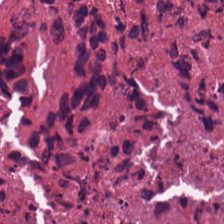Whole-slide-image patch; hematoxylin and eosin. Predominantly debris.
